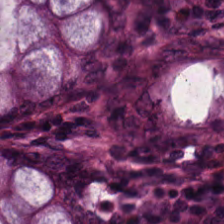The tissue type is normal colonic mucosa.
